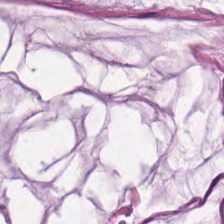Q: What does this patch show?
A: The field shows mucin.
